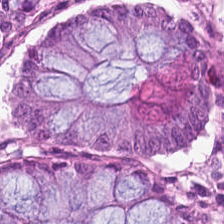H&E — benign colonic mucosa.
